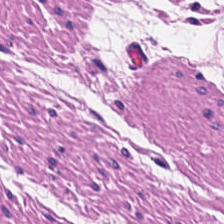Hematoxylin and eosin — Q: What is shown in this field?
A: Muscularis.
